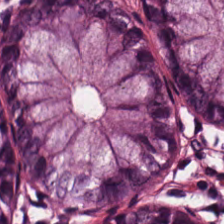Whole-slide-image patch · H&E — Normal colon mucosa.
